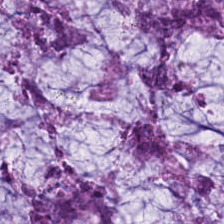Stain: hematoxylin-and-eosin stained section.
Tissue: mucus.
